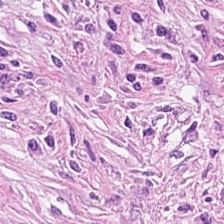Brightfield microscopy; H&E stain.
Impression → desmoplastic stroma.
